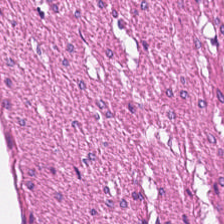Classification = smooth muscle.
